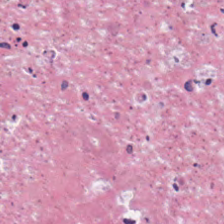Hematoxylin and eosin — Q: What tissue type is shown here?
A: Cellular debris.
